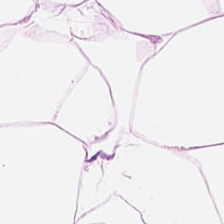H&E patch showing adipose tissue.
